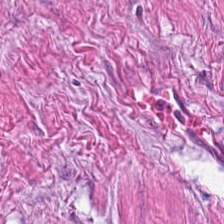Stain: hematoxylin-and-eosin stained section.
Tissue type: smooth muscle.
